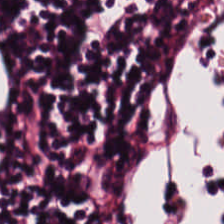H&E-stained tissue section.
This field is lymphoid infiltrate.
